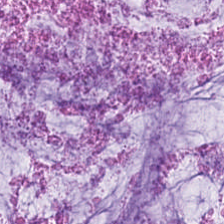20× equivalent magnification · 224×224 px tile · hematoxylin-and-eosin stained section — Tissue type = mucin.
